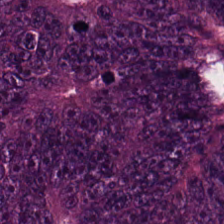Stain: H&E.
Classification: colorectal adenocarcinoma epithelium.
